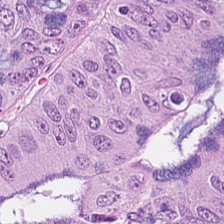Stain: hematoxylin-and-eosin stained section.
Tissue type: colorectal adenocarcinoma.
